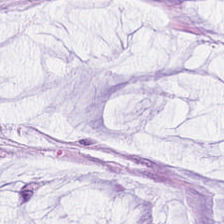FFPE tissue section · brightfield · H&E-stained tissue section.
Q: What does this patch show?
A: It is extracellular mucin.
